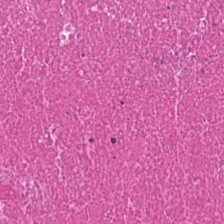224×224 px tile. Hematoxylin-and-eosin stained section — Classification — debris.
